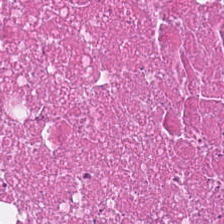Hematoxylin-and-eosin stained section — The predominant tissue is cellular debris.
